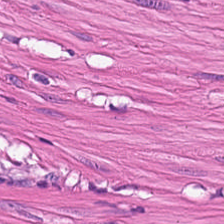Stain: H&E.
Preparation: formalin-fixed paraffin-embedded section.
Acquisition: whole-slide-image patch.
Tissue type: smooth-muscle tissue.
